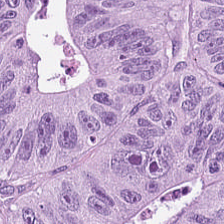Stain: hematoxylin-and-eosin stained section.
Preparation: formalin-fixed paraffin-embedded section.
Tissue type: colorectal adenocarcinoma epithelium.
